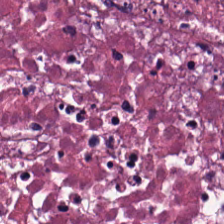Histology → debris.
